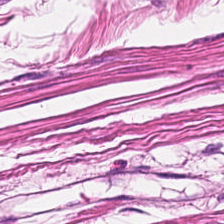Brightfield. Hematoxylin-and-eosin stained section — Q: Identify the tissue.
A: The field shows smooth-muscle tissue.
